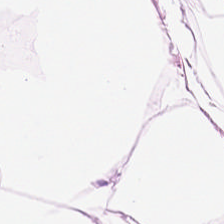H&E-stained tissue section; 224×224 pixel tile; 0.5 µm per pixel — Tissue = adipose tissue.
